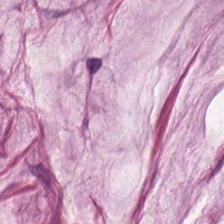H&E stain; 0.5 µm/px.
This field is extracellular mucin.
